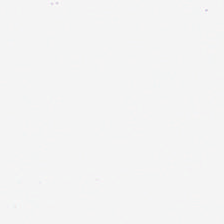H&E. Q: What is shown in this field?
A: This is background.
